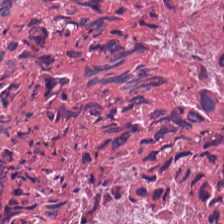The predominant tissue is debris.
